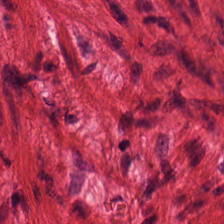The tissue here is muscularis.
